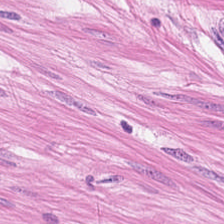H&E-stained section; the field shows muscularis.
